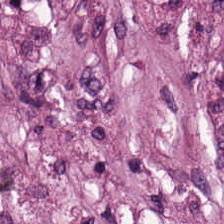Stain: H&E stain.
Tissue type: cancer-associated stroma.
